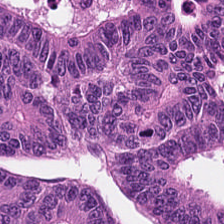Hematoxylin and eosin. Brightfield microscopy. 224×224 pixel tile.
The tissue class is malignant epithelium.
